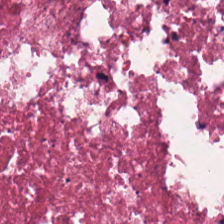Histology — necrotic debris.
